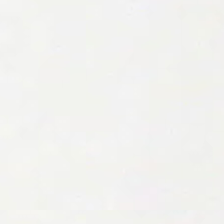20× equivalent magnification · H&E-stained tissue section — Background — no tissue in this field.
